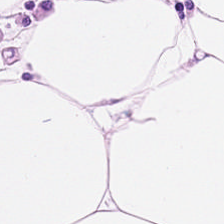H&E stain. The predominant tissue is adipocytes.
